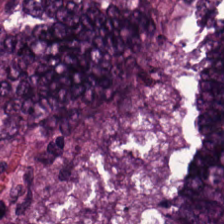Histology — colorectal adenocarcinoma.
